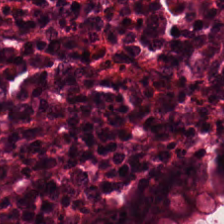H&E-stained tissue section — Q: Classify this patch.
A: This is benign colonic mucosa.
